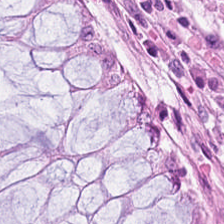20× equivalent magnification. H&E — Classification = benign colonic mucosa.
